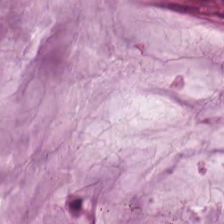Hematoxylin-and-eosin stained section.
Impression — mucin.
